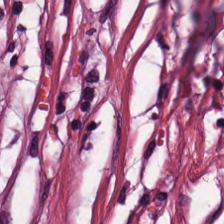Formalin-fixed paraffin-embedded section · H&E · 0.5 microns per pixel. Showing desmoplastic stroma.
